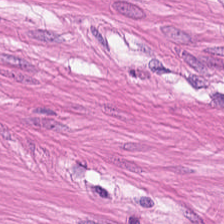Hematoxylin and eosin; 0.5 µm per pixel — The classification is muscularis.
